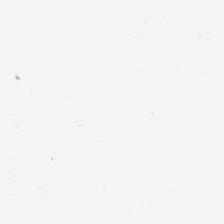FFPE. H&E.
This patch shows background.
